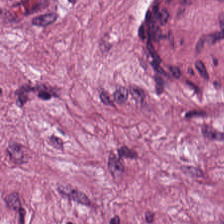Stain: hematoxylin-and-eosin stained section.
Resolution: 0.5 µm/px.
Acquisition: WSI patch.
Tissue class: tumor-associated stroma.
